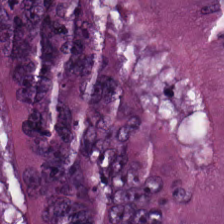Stain: hematoxylin-and-eosin stained section.
Tissue type: malignant epithelium.
